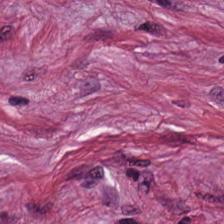Q: Classify this patch.
A: It is tumor stroma.
